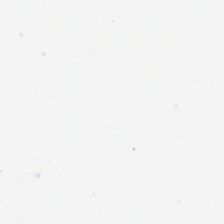H&E stain. Q: Classify this patch.
A: Empty background.
